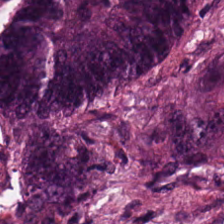H&E · 0.5 µm/px.
Q: Identify the tissue.
A: It is tumor epithelium.
